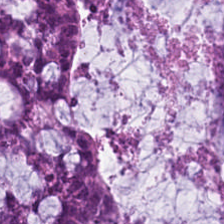H&E stain — Predominantly extracellular mucin.
